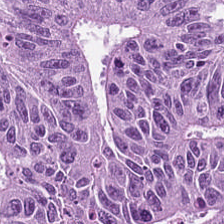Brightfield microscopy · H&E. This patch shows colorectal adenocarcinoma.
